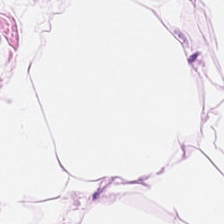Stain: H&E.
Tissue: fat tissue.
